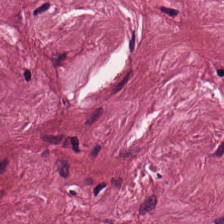H&E-stained tissue section — This field is desmoplastic stroma.
